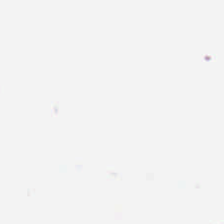Hematoxylin and eosin.
Field content — no tissue.
